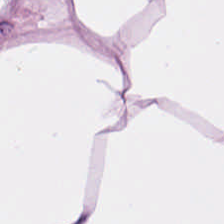H&E.
The classification is adipocytes.
